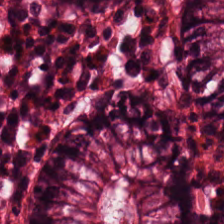Showing normal colon mucosa.
